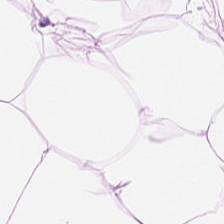Fat tissue.
